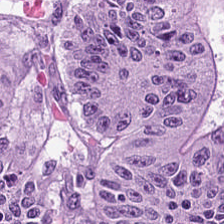Stain: hematoxylin-and-eosin stained section.
Classification: malignant epithelium.
